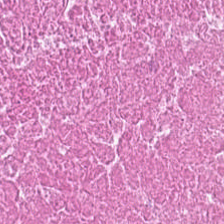H&E · 0.5 µm/px · brightfield. Showing debris.
